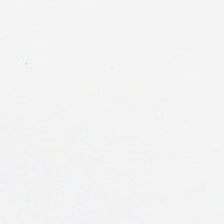H&E stain — Empty field — background (no tissue).
